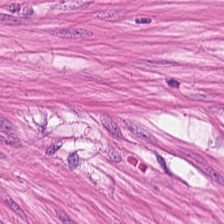Histology — smooth muscle.
